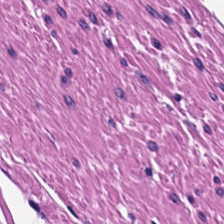H&E-stained tissue section.
Predominantly smooth-muscle tissue.
